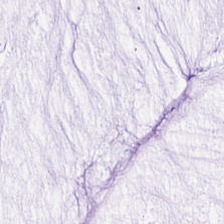H&E stain.
Q: What does this patch show?
A: This is mucus.
